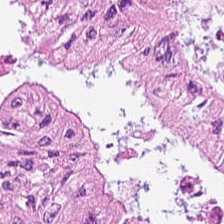FFPE. 0.5 µm/px. H&E-stained tissue section. This patch shows colorectal adenocarcinoma.
